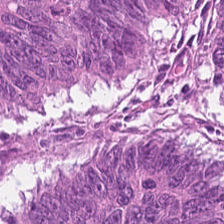Q: What is shown here?
A: Tumor epithelium.
